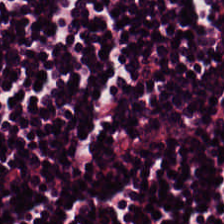Hematoxylin-and-eosin stained section. Predominantly lymphocytes.
